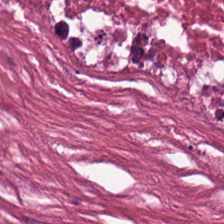Stain: hematoxylin and eosin.
Tissue: cellular debris.
